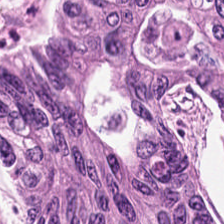Stain: H&E-stained tissue section.
Tissue: adenocarcinoma.
